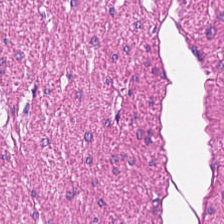Hematoxylin-and-eosin stained section — Predominantly muscularis.
